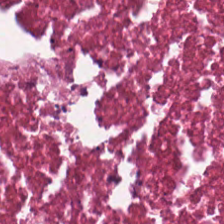Brightfield. H&E-stained tissue section.
Q: Classify this patch.
A: This is cellular debris.
